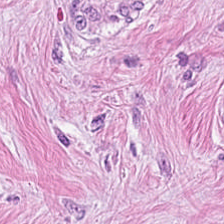Stain: H&E stain.
Predominant tissue: desmoplastic stroma.
